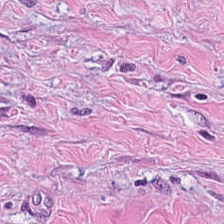Hematoxylin and eosin; brightfield. {"tissue_type": "tumor stroma"}
